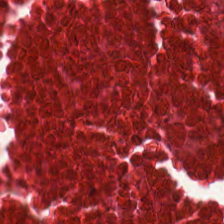Predominantly cellular debris.
